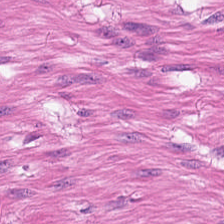H&E · 0.5 microns per pixel. Q: What is shown here?
A: Smooth muscle.
